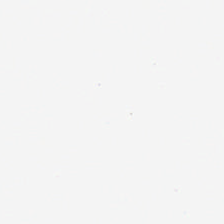The classification is empty background.
